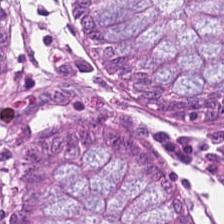H&E stain. Q: What is the predominant tissue type?
A: It is normal colonic mucosa.
